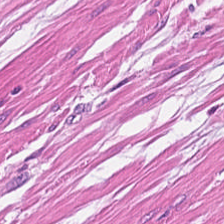Stain: hematoxylin-and-eosin stained section.
Predominant tissue: smooth muscle.
